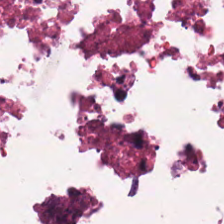224×224 pixel tile; H&E. Tissue — necrotic debris.
